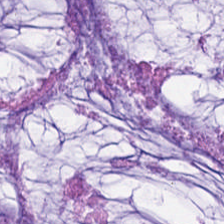H&E-stained tissue section showing extracellular mucin.
